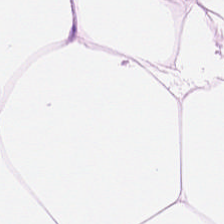Stain: hematoxylin and eosin.
Tissue type: adipocytes.
